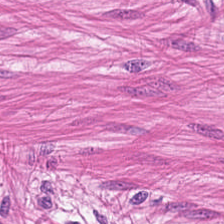Hematoxylin and eosin.
Q: Identify the tissue.
A: It is smooth muscle.
